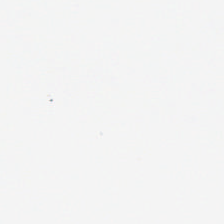224×224 pixel tile · WSI patch · H&E stain — Content — background (no tissue).
